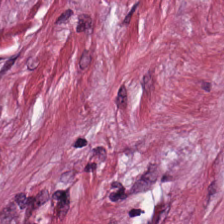0.5 µm/px · hematoxylin-and-eosin stained section. The predominant tissue is cancer-associated stroma.
